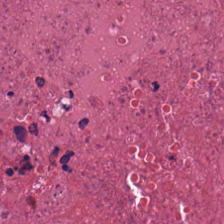Stain: hematoxylin and eosin.
Preparation: formalin-fixed paraffin-embedded section.
Tile size: 224×224 pixel tile.
Tissue class: debris.
